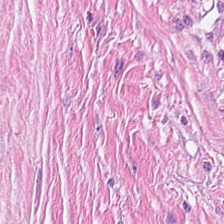Finding — desmoplastic stroma.
